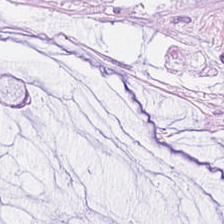Stain: hematoxylin and eosin.
Tile size: 224×224 px tile.
Predominant tissue: mucus.
